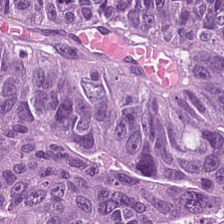Hematoxylin and eosin.
The tissue here is malignant epithelium.
